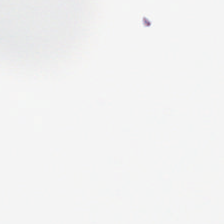H&E-stained tissue section. This field is background (no tissue).
